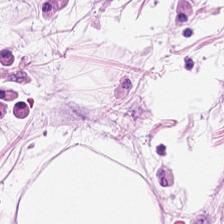Hematoxylin and eosin — The predominant tissue is adipose.
